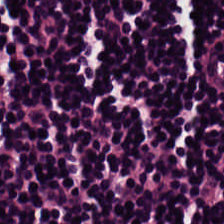H&E-stained tissue section. Showing lymphoid infiltrate.
